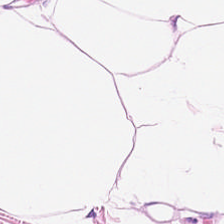Predominantly adipose tissue.
